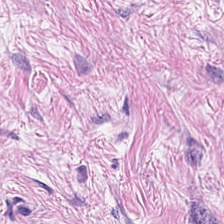H&E stain. Brightfield microscopy — The classification is tumor stroma.
